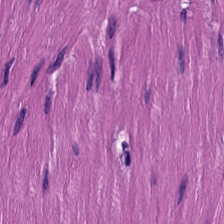H&E stain — This patch shows smooth-muscle tissue.
